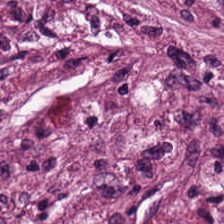H&E stain.
{"tissue_type": "cancer-associated stroma"}
